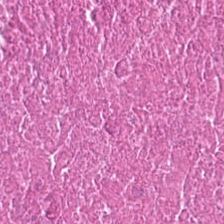Stain: hematoxylin-and-eosin stained section.
Predominant tissue: cellular debris.
